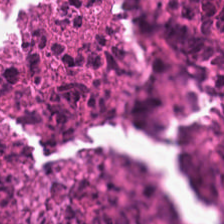{"tissue_type": "necrotic debris"}
